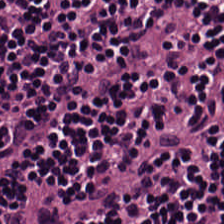H&E. Predominant tissue = lymphocytes.
